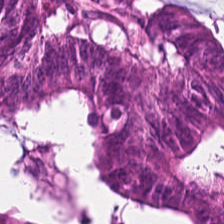Finding → colorectal adenocarcinoma epithelium.
